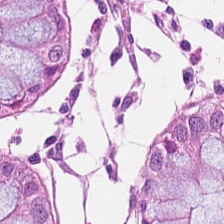WSI patch; H&E stain; FFPE. Predominantly non-neoplastic colon mucosa.
